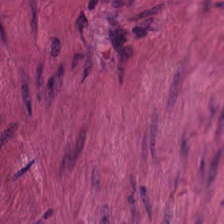Brightfield microscopy. 224×224 pixel tile. Hematoxylin-and-eosin stained section. This patch shows smooth muscle.
